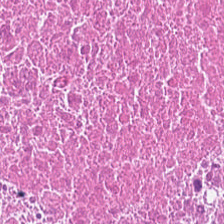Stain: H&E stain.
Predominant tissue: necrotic debris.
